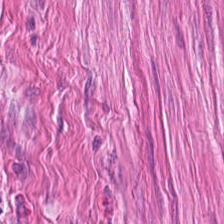Showing smooth muscle.
